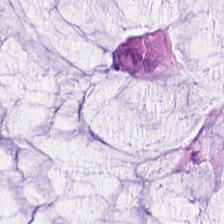H&E stain. {"tissue_type": "mucus"}
